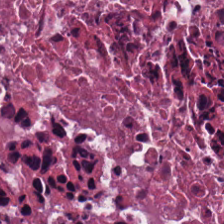H&E-stained tissue section. Brightfield. 224×224 px tile.
Q: What is shown here?
A: It is debris.
